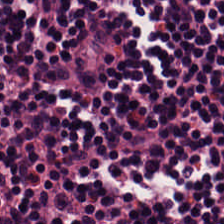0.5 µm/px. H&E-stained tissue section — Histology → lymphoid infiltrate.
